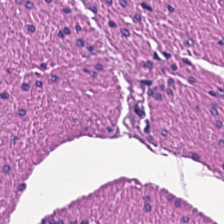Stain: H&E.
Resolution: 0.5 µm per pixel.
Tissue: smooth muscle.
